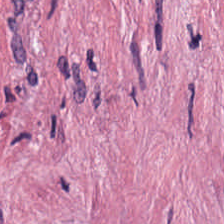H&E.
Q: What is shown here?
A: The field shows desmoplastic stroma.
